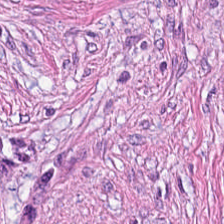0.5 microns per pixel · H&E-stained tissue section. Q: Identify the tissue.
A: This is tumor stroma.
